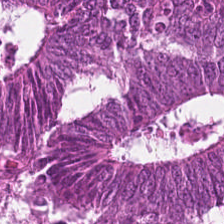Whole-slide-image patch. H&E-stained tissue section. Predominantly colorectal adenocarcinoma.
